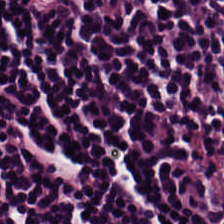Q: Identify the tissue.
A: The field shows lymphoid infiltrate.
